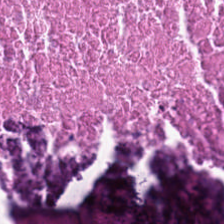Hematoxylin-and-eosin stained section; FFPE; 0.5 µm per pixel — Predominantly debris.
